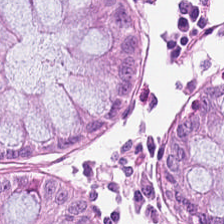224×224 px patch. H&E stain.
Finding → normal colonic mucosa.
